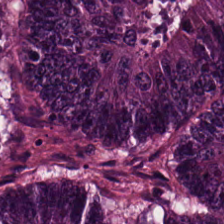H&E. 224×224 px patch.
Showing malignant epithelium.
